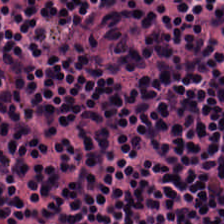H&E. Whole-slide-image patch — Lymphocytes.
